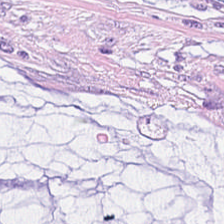Stain: hematoxylin-and-eosin stained section.
Classification: mucin.
